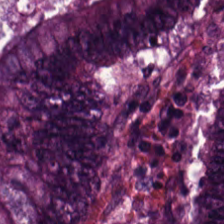The predominant tissue is colorectal adenocarcinoma.
